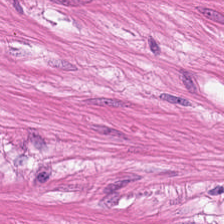224×224 px patch. Hematoxylin and eosin. Q: What is shown in this field?
A: It is smooth-muscle tissue.
